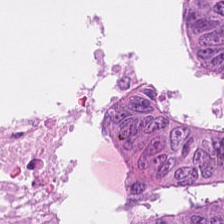H&E stain. Finding — adenocarcinoma.
